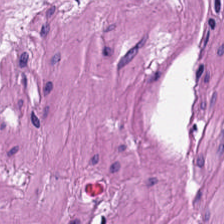H&E — smooth-muscle tissue.
